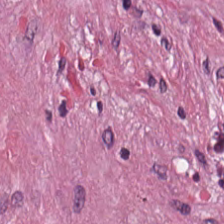The predominant tissue is cancer-associated stroma.
